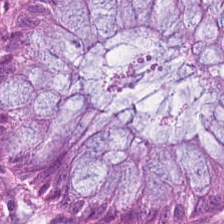H&E stain. Predominant tissue = non-neoplastic colon mucosa.
